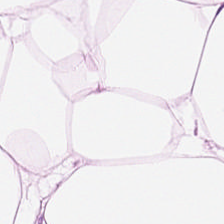Hematoxylin and eosin — The tissue here is adipocytes.
